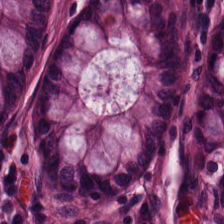H&E-stained tissue section — Normal colonic mucosa.
